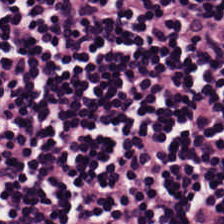FFPE · hematoxylin and eosin.
Showing lymphocytic infiltrate.
